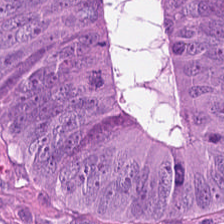H&E-stained section; the field shows malignant epithelium.
